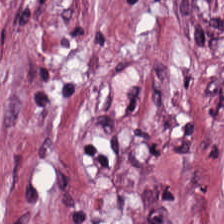H&E-stained tissue section — The tissue is tumor-associated stroma.
